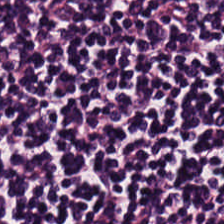224×224 pixel tile. H&E.
Q: What does this patch show?
A: It is lymphocytic infiltrate.
